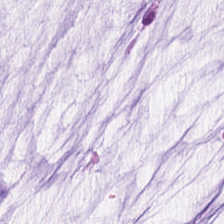Q: What is the predominant tissue type?
A: Mucus.
